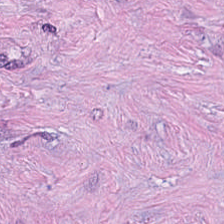Whole-slide-image patch; H&E stain — Tissue = tumor stroma.
